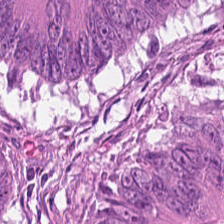H&E — Classification = colorectal adenocarcinoma.
